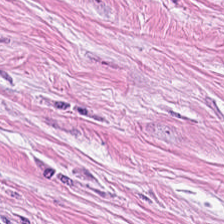H&E patch showing tumor-associated stroma.
